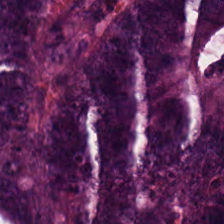Finding → tumor epithelium.
